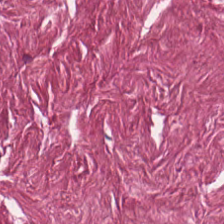Hematoxylin-and-eosin stained section · FFPE. Classification — tumor-associated stroma.
